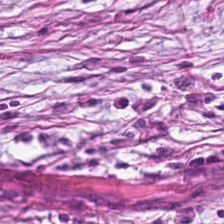H&E stain.
The tissue here is tumor-associated stroma.
